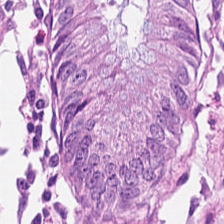0.5 microns per pixel; 224×224 px tile; H&E — Predominant tissue = benign colonic mucosa.
